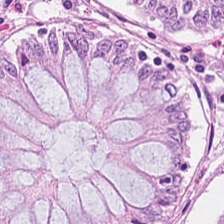H&E stain.
Tissue class: non-neoplastic colon mucosa.
